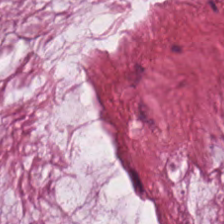Stain: hematoxylin and eosin.
Acquisition: whole-slide-image patch.
Tile size: 224×224 px patch.
Tissue type: mucin.
